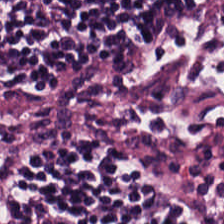H&E stain. The predominant tissue is lymphocytes.
